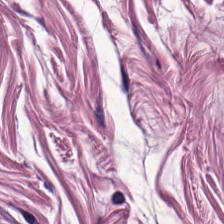Impression — smooth-muscle tissue.
